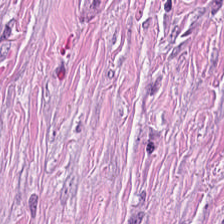Stain: hematoxylin-and-eosin stained section.
Acquisition: whole-slide-image patch.
Tissue class: desmoplastic stroma.
